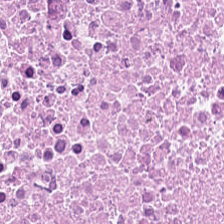224×224 px tile; brightfield; hematoxylin-and-eosin stained section.
{"tissue_type": "debris"}
